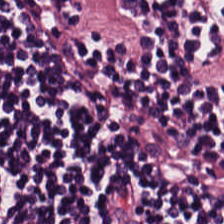Hematoxylin-and-eosin stained section. This field is lymphoid infiltrate.
